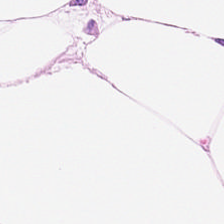H&E stain. Formalin-fixed paraffin-embedded section. Brightfield. This patch shows adipose tissue.
